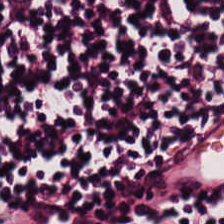Stain: hematoxylin-and-eosin stained section.
Tissue type: lymphocytic infiltrate.
